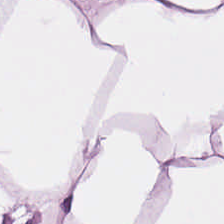Hematoxylin and eosin.
Showing adipocytes.
